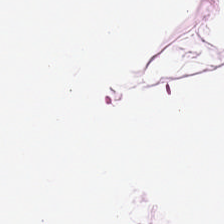H&E.
This field is adipocytes.
